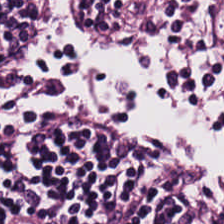Stain: hematoxylin and eosin.
Classification: lymphocyte aggregate.
